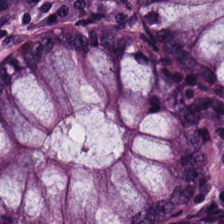H&E stain — {"tissue_type": "normal colon mucosa"}
